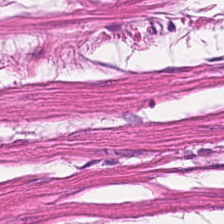Q: What is the predominant tissue type?
A: The field shows muscularis.
